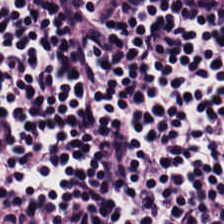FFPE; hematoxylin and eosin. Q: What is shown here?
A: It is lymphocytic infiltrate.
